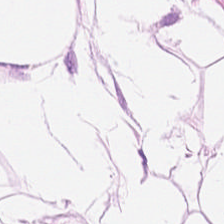Stain: H&E.
Classification: adipose.
